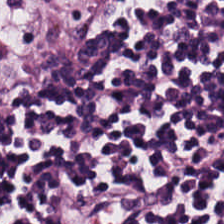H&E — This field is lymphocytic infiltrate.
